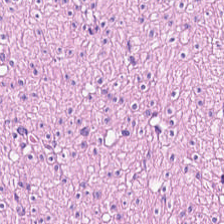H&E-stained tissue section; 224×224 px tile.
This patch shows muscularis.
